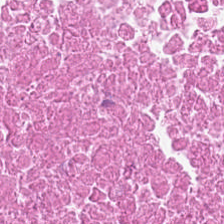H&E stain. {"tissue_type": "cellular debris"}
